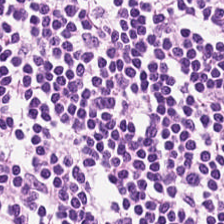Tissue — lymphocytic infiltrate.
